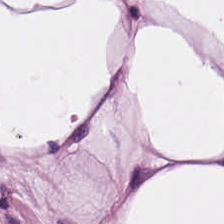Hematoxylin-and-eosin stained section — This patch shows fat tissue.
